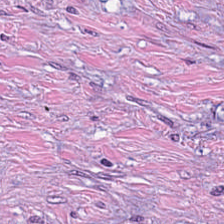Stain: hematoxylin and eosin.
Tissue class: desmoplastic stroma.
